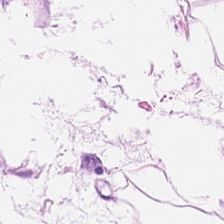H&E stain. Finding — adipocytes.
